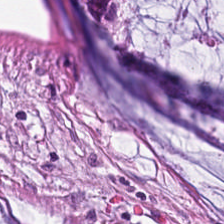Tissue — mucin.
